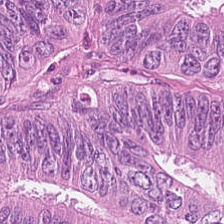H&E stain.
This patch shows colorectal adenocarcinoma.
